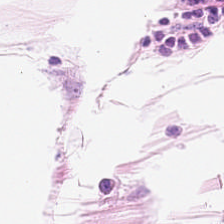FFPE; brightfield microscopy; H&E stain — Showing adipose.
